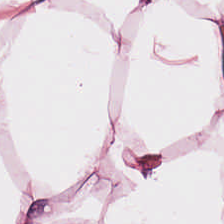Hematoxylin and eosin. {"tissue_type": "adipose tissue"}
